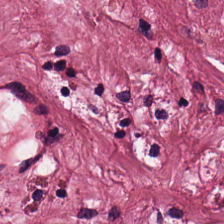20× equivalent magnification; WSI patch; H&E stain — Q: Identify the tissue.
A: Desmoplastic stroma.
